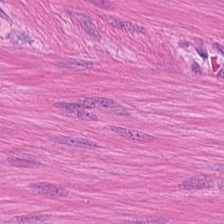Hematoxylin-and-eosin stained section. The tissue type is smooth muscle.
